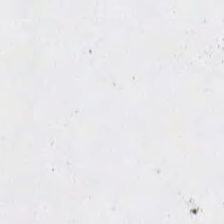Hematoxylin-and-eosin stained section. This field is background (no tissue).
